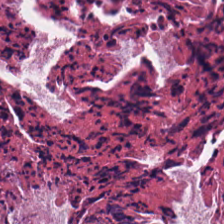Showing necrotic debris.
